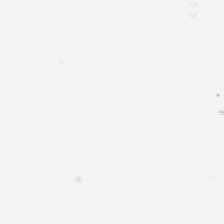H&E. Q: Classify this patch.
A: This is background.
